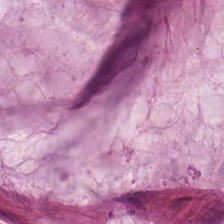Hematoxylin-and-eosin stained section. FFPE tissue section. Classification = extracellular mucin.
